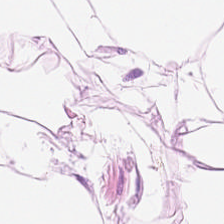Whole-slide-image patch. Hematoxylin and eosin — Classification = fat tissue.
